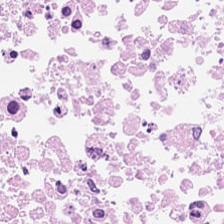0.5 µm per pixel. H&E.
Predominantly debris.
